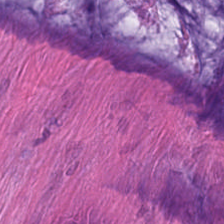The predominant tissue is extracellular mucin.
